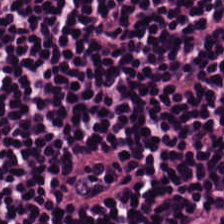H&E-stained tissue section · whole-slide-image patch.
The tissue here is lymphoid infiltrate.
